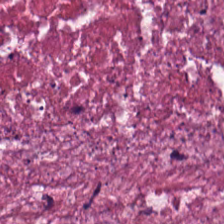Stain: hematoxylin-and-eosin stained section.
Tissue type: necrotic debris.
